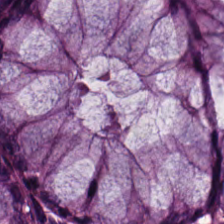Hematoxylin-and-eosin stained section — The classification is normal colon mucosa.
